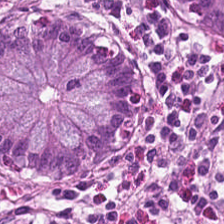Stain: H&E-stained tissue section.
Resolution: 0.5 microns per pixel.
Predominant tissue: benign colonic mucosa.
